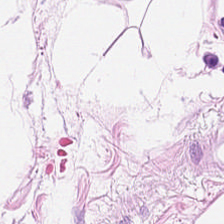Hematoxylin and eosin — Showing adipose tissue.
